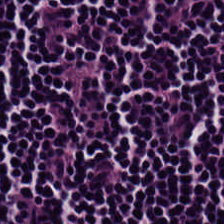H&E-stained tissue section — Lymphocyte aggregate.
